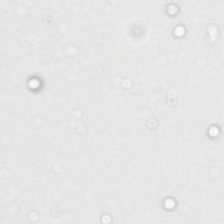No tissue present; background only.
